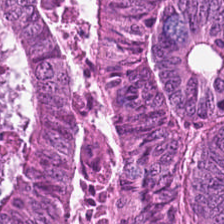H&E-stained tissue section. Tissue class: malignant epithelium.
